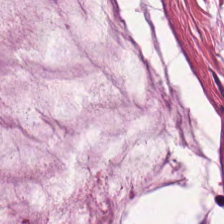Formalin-fixed paraffin-embedded section; H&E stain — The tissue type is mucus.
